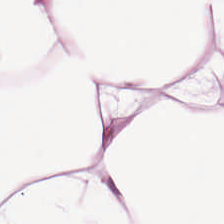0.5 µm/px; H&E-stained tissue section.
Showing fat tissue.
